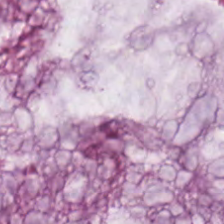H&E-stained tissue section · 224×224 px patch.
Extracellular mucin.
